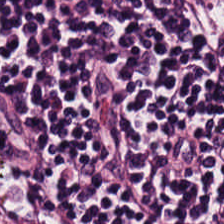Stain: H&E.
Classification: lymphoid infiltrate.
